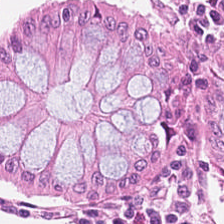H&E stain · 224×224 px tile · 20× equivalent magnification.
Predominant tissue — benign colonic mucosa.
